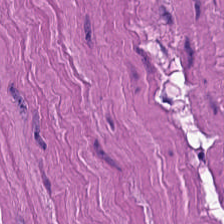Stain: hematoxylin-and-eosin stained section.
Classification: smooth muscle.
